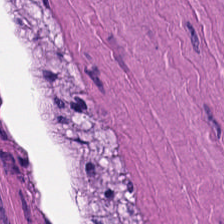Stain: hematoxylin and eosin.
Acquisition: brightfield.
Preparation: FFPE tissue section.
Predominant tissue: smooth-muscle tissue.
